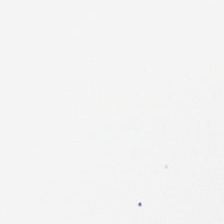0.5 microns per pixel · 224×224 pixel tile · H&E — Classification: background.
